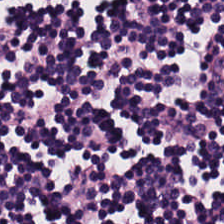H&E stain. 0.5 microns per pixel.
This field is lymphoid infiltrate.
